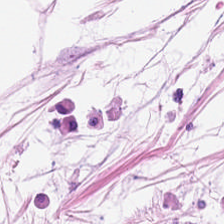224×224 pixel tile; H&E-stained tissue section — Finding → adipocytes.
